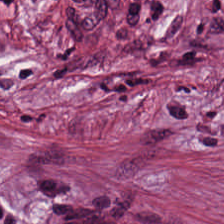H&E-stained tissue section.
The predominant tissue is tumor-associated stroma.
